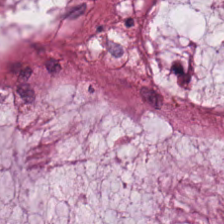Q: What does this patch show?
A: The field shows mucus.
